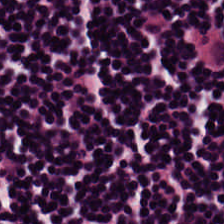Stain: H&E-stained tissue section.
Classification: lymphoid infiltrate.
